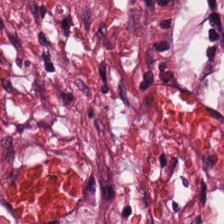Hematoxylin-and-eosin stained section.
Tissue type — tumor-associated stroma.
